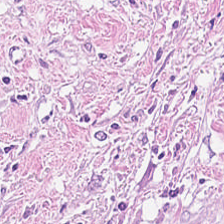Showing tumor stroma.
